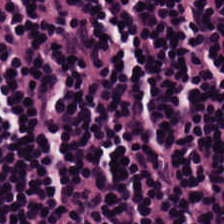The predominant tissue is lymphocyte aggregate.
